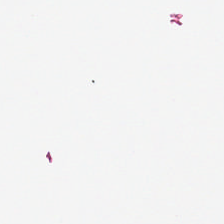Empty field — empty background.
